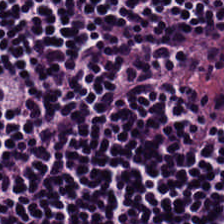Hematoxylin and eosin — Tissue type = lymphocytes.
